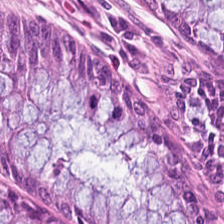FFPE tissue section · H&E stain · 224×224 px tile. {"tissue_type": "benign colonic mucosa"}
